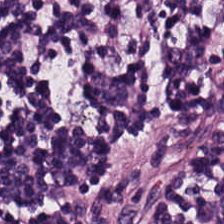Q: What tissue is shown?
A: This is lymphocytic infiltrate.
